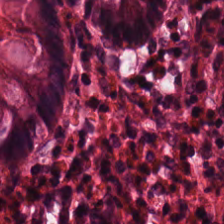The tissue here is normal colonic mucosa.
